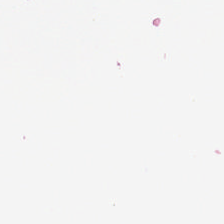20× equivalent magnification. Hematoxylin and eosin — Background — no tissue in this field.
